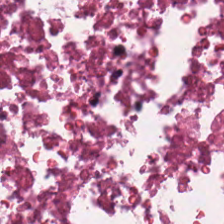Hematoxylin-and-eosin stained section; whole-slide-image patch. The predominant tissue is cellular debris.
